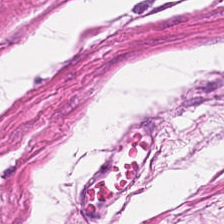224×224 pixel tile. Brightfield. Hematoxylin and eosin.
Q: What tissue is shown?
A: It is smooth-muscle tissue.
